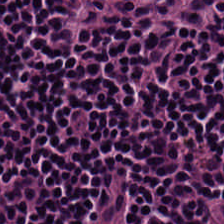Hematoxylin and eosin. Impression → lymphocytes.
